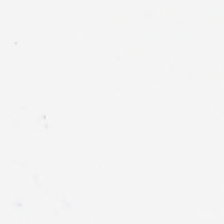Impression — background.
